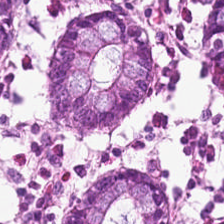Hematoxylin and eosin.
The classification is normal colonic mucosa.
